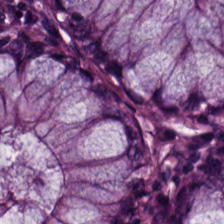H&E; 20× equivalent magnification. Histology — normal colonic mucosa.
